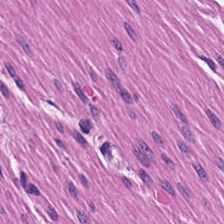Hematoxylin-and-eosin stained section. This field is smooth muscle.
